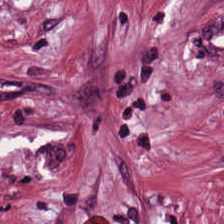Stain: H&E-stained tissue section.
Resolution: 0.5 microns per pixel.
Tissue: cancer-associated stroma.
